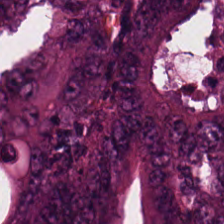Tissue class = tumor epithelium.
